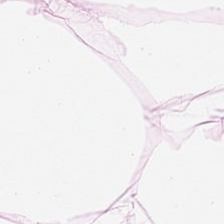Tissue — adipose tissue.
